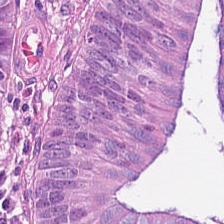H&E · 0.5 µm per pixel · FFPE — Showing adenocarcinoma.
